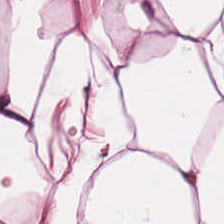H&E — Showing adipocytes.
